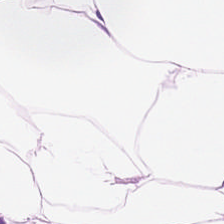224×224 px tile · 0.5 µm/px · H&E-stained tissue section.
Showing adipose tissue.
